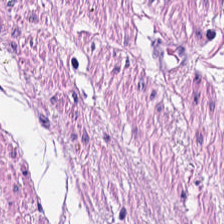Stain: H&E.
Resolution: 0.5 microns per pixel.
Acquisition: brightfield microscopy.
Predominant tissue: smooth-muscle tissue.
